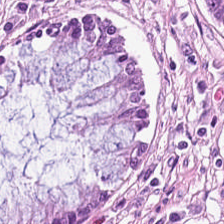H&E.
{"tissue_type": "normal colonic mucosa"}
